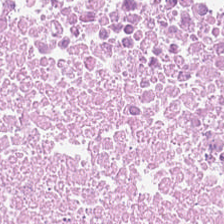Histology — necrotic debris.
